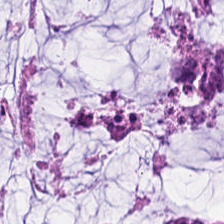Whole-slide-image patch · H&E-stained tissue section. Q: What tissue is shown?
A: It is extracellular mucin.
